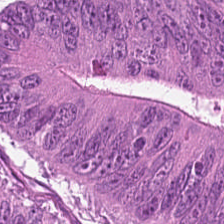Hematoxylin-and-eosin stained section. 224×224 px patch — Finding → tumor epithelium.
